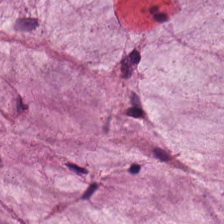H&E-stained tissue section. The tissue class is mucin.
